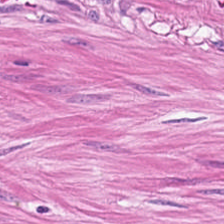{"tissue_type": "muscularis"}
